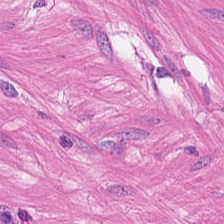This patch shows smooth muscle.
